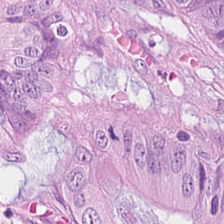The tissue class is tumor epithelium.
